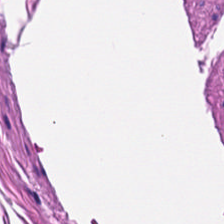H&E patch showing smooth muscle.
